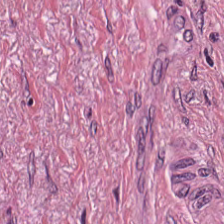H&E stain.
Predominant tissue = cancer-associated stroma.
